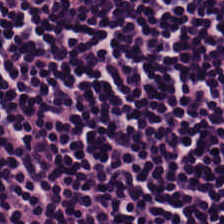H&E-stained tissue section — This patch shows lymphoid infiltrate.
